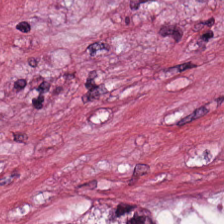Brightfield; H&E stain; 224×224 px patch.
Desmoplastic stroma.
